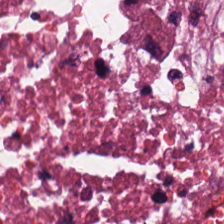H&E.
This patch shows debris.
